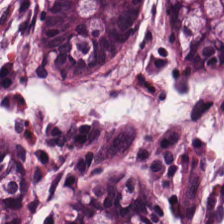Hematoxylin and eosin. Tissue = normal colon mucosa.
